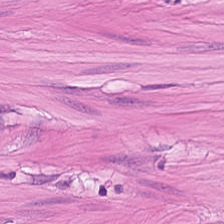H&E stain.
Q: What is the predominant tissue type?
A: This is smooth muscle.
